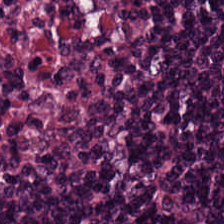H&E patch showing lymphocyte aggregate.
